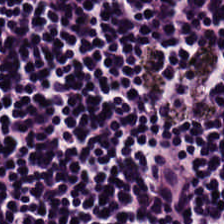Hematoxylin-and-eosin stained section.
Q: What tissue type is shown here?
A: The field shows lymphocytic infiltrate.
